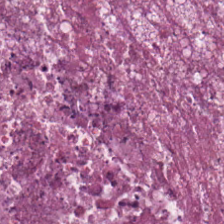H&E-stained tissue section. The classification is cellular debris.
